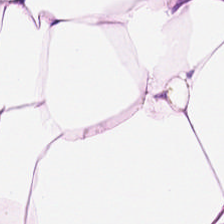Hematoxylin-and-eosin stained section.
Adipose tissue.
